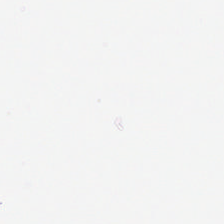Stain: H&E stain.
Tile size: 224×224 px tile.
Content: no tissue.
